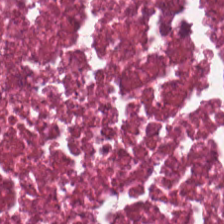Stain: hematoxylin and eosin.
Preparation: FFPE tissue section.
Tissue type: cellular debris.
